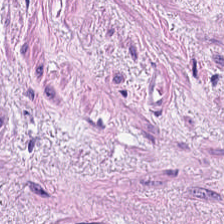0.5 µm/px; hematoxylin-and-eosin stained section.
Tissue class: smooth-muscle tissue.
